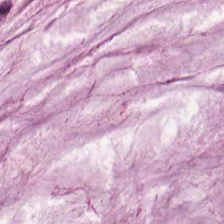Hematoxylin-and-eosin stained section. This field is mucus.
